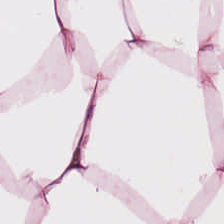H&E. FFPE tissue section — Predominantly fat tissue.
